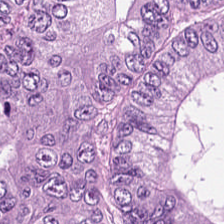H&E — This patch shows malignant epithelium.
